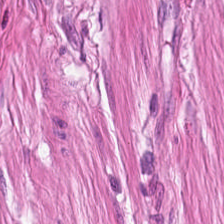Stain: H&E.
Tile size: 224×224 px patch.
Classification: muscularis.
